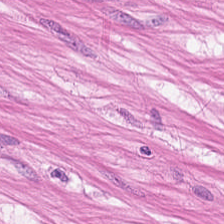Q: What is shown in this field?
A: Smooth muscle.
